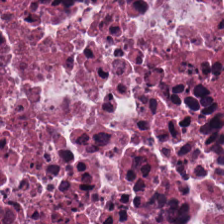{"tissue_type": "cellular debris"}
